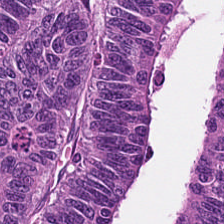H&E-stained tissue section. Whole-slide-image patch. This field is malignant epithelium.
